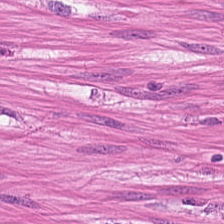Muscularis.
